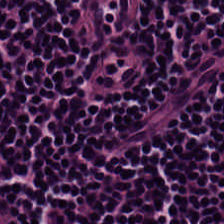Hematoxylin-and-eosin stained section — The tissue is lymphocytes.
